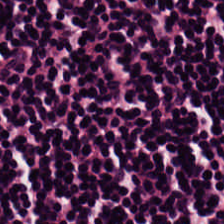H&E stain. Impression → lymphocytic infiltrate.
